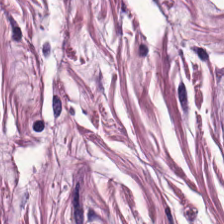The predominant tissue is muscularis.
